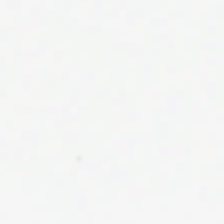Hematoxylin and eosin.
This patch shows background.
